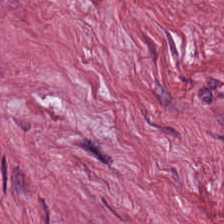Stain: hematoxylin-and-eosin stained section.
Classification: tumor stroma.
